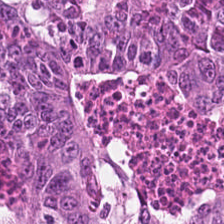0.5 µm per pixel; hematoxylin-and-eosin stained section.
Classification: malignant epithelium.
